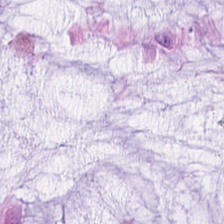FFPE · hematoxylin-and-eosin stained section. Predominant tissue = extracellular mucin.
